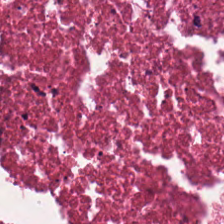224×224 px tile; hematoxylin and eosin.
Q: What tissue type is shown here?
A: Debris.
